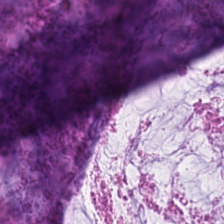Stain: H&E-stained tissue section.
Tissue class: extracellular mucin.
